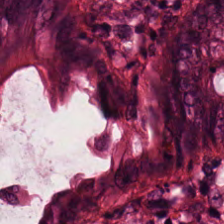0.5 microns per pixel · H&E-stained tissue section. Showing normal colon mucosa.
